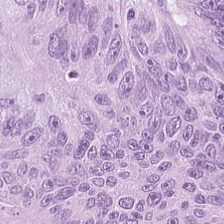H&E-stained tissue section — Predominant tissue: tumor epithelium.
